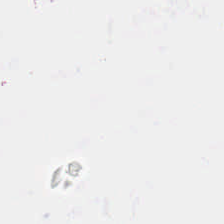H&E stain.
Classification — background.
